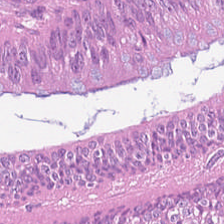WSI patch · 224×224 px patch · H&E-stained tissue section. Q: What tissue is shown?
A: This is colorectal adenocarcinoma.
